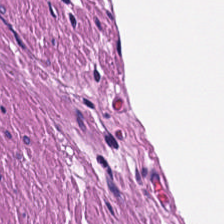0.5 microns per pixel. Hematoxylin-and-eosin stained section — Showing muscularis.
